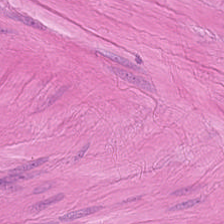Hematoxylin-and-eosin stained section.
Q: What is shown in this field?
A: This is muscularis.
